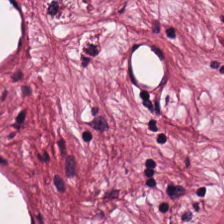Hematoxylin-and-eosin stained section.
The predominant tissue is tumor-associated stroma.
